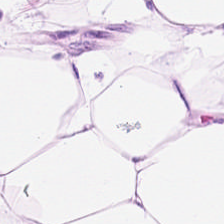H&E. Q: What is shown here?
A: This is adipose tissue.
